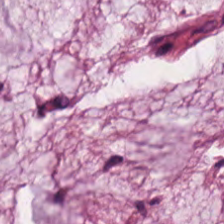Hematoxylin and eosin.
This patch shows extracellular mucin.
